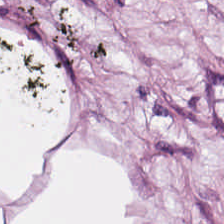Hematoxylin and eosin. Tissue type = adipose.
